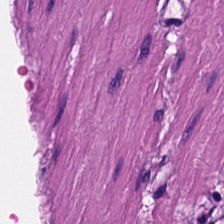H&E-stained tissue section. Brightfield — This field is smooth-muscle tissue.
